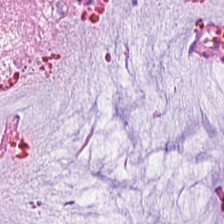H&E stain — Mucus.
